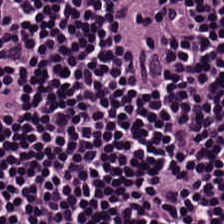224×224 px tile. H&E stain.
Finding — lymphoid infiltrate.
